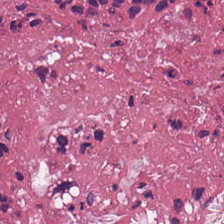WSI patch · hematoxylin-and-eosin stained section. Q: What is the predominant tissue type?
A: This is necrotic debris.
